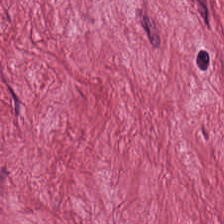Brightfield · H&E stain · 224×224 pixel tile — Q: What does this patch show?
A: Desmoplastic stroma.
